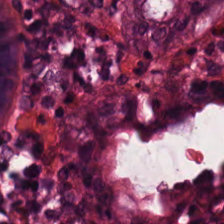H&E-stained tissue section — This patch shows normal colonic mucosa.
